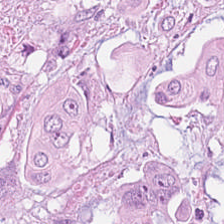Stain: hematoxylin and eosin.
Predominant tissue: colorectal adenocarcinoma epithelium.
